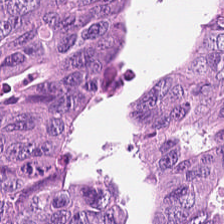Stain: H&E.
Resolution: 20× equivalent magnification.
Preparation: formalin-fixed paraffin-embedded section.
Classification: tumor epithelium.
